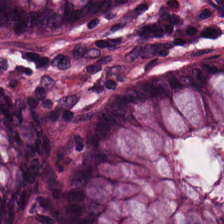H&E.
Showing benign colonic mucosa.
